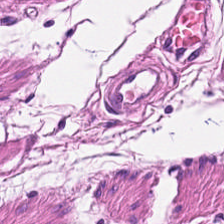H&E-stained tissue section. Finding — smooth-muscle tissue.
